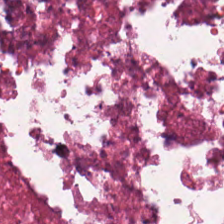H&E stain. Tissue type: debris.
